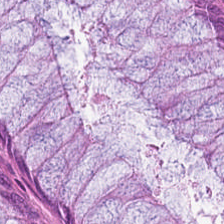H&E · FFPE tissue section. The classification is non-neoplastic colon mucosa.
